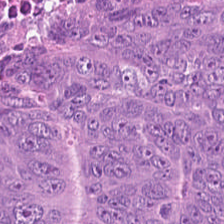Stain: hematoxylin-and-eosin stained section.
Predominant tissue: malignant epithelium.
